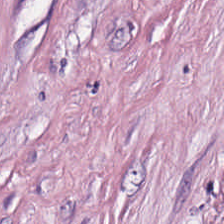Stain: hematoxylin and eosin.
Tissue type: tumor stroma.
